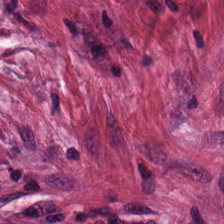Brightfield. Hematoxylin and eosin — Histology → desmoplastic stroma.
